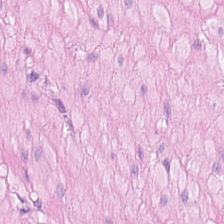The tissue here is smooth muscle.
